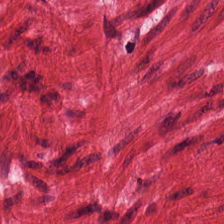H&E stain.
Muscularis.
